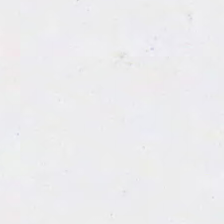This patch shows background.
